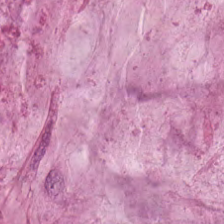Stain: hematoxylin-and-eosin stained section.
Resolution: 0.5 µm per pixel.
Acquisition: WSI patch.
Predominant tissue: extracellular mucin.
